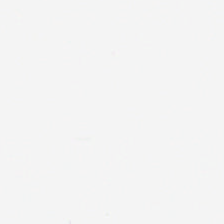Hematoxylin and eosin. 224×224 px tile. The classification is no tissue.
